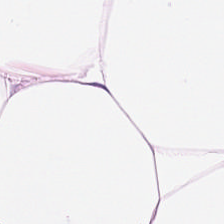Tissue type: adipose.
